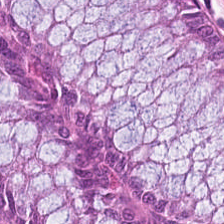Histology — normal colon mucosa.
